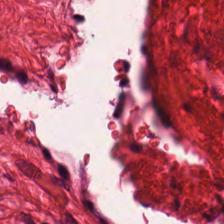H&E-stained tissue section.
Q: What tissue is shown?
A: Smooth-muscle tissue.
